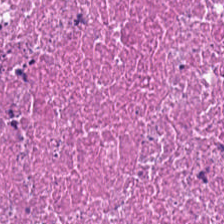Hematoxylin-and-eosin stained section.
Predominantly cellular debris.
